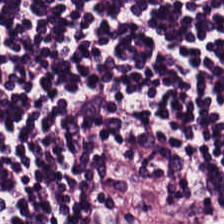Hematoxylin-and-eosin stained section. Tissue class: lymphocytic infiltrate.
